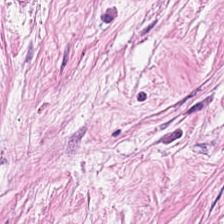H&E. The tissue here is cancer-associated stroma.
